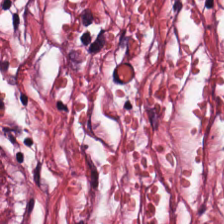H&E · 224×224 px tile · 0.5 µm/px. The tissue here is tumor-associated stroma.
